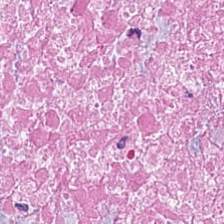H&E stain.
Tissue = debris.
